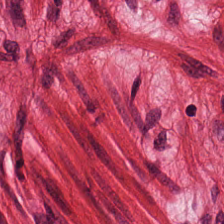The predominant tissue is smooth-muscle tissue.
